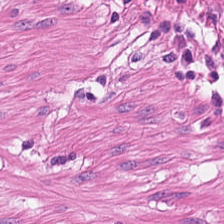H&E-stained tissue section.
Predominantly smooth muscle.
